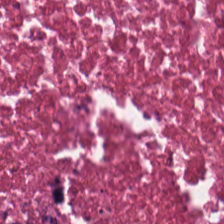Stain: hematoxylin and eosin.
Tile size: 224×224 pixel tile.
Resolution: 0.5 µm/px.
Tissue class: cellular debris.
